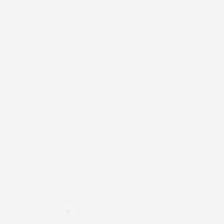H&E-stained tissue section — Q: What does this patch show?
A: This is empty background.
